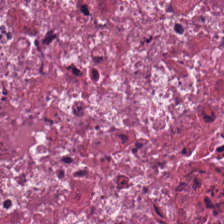Hematoxylin and eosin. 0.5 µm/px — Debris.
